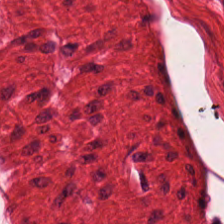Stain: H&E.
Preparation: FFPE.
Resolution: 20× equivalent magnification.
Tissue class: muscularis.
